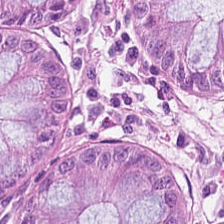Hematoxylin and eosin — This patch shows normal colonic mucosa.
